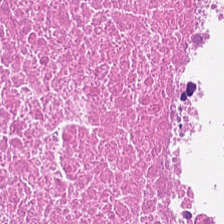H&E · FFPE tissue section — Predominant tissue — necrotic debris.
